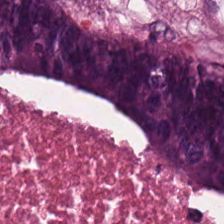Hematoxylin and eosin — The classification is necrotic debris.
